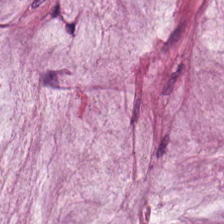Hematoxylin-and-eosin stained section. Tissue type = mucus.
